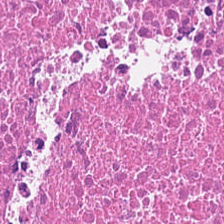The tissue type is debris.
